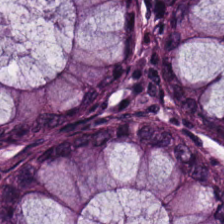224×224 px tile; whole-slide-image patch; hematoxylin and eosin. This patch shows normal colonic mucosa.
